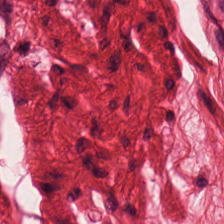224×224 pixel tile. Hematoxylin-and-eosin stained section. The tissue type is smooth muscle.
